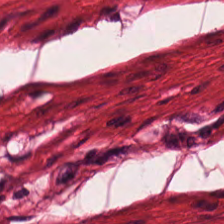Showing muscularis.
